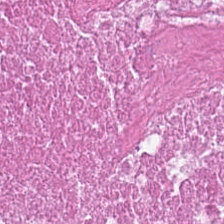H&E-stained tissue section.
Tissue class: necrotic debris.
